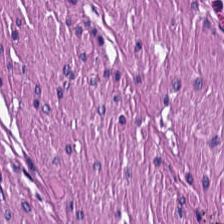Stain: hematoxylin-and-eosin stained section.
Classification: smooth muscle.
